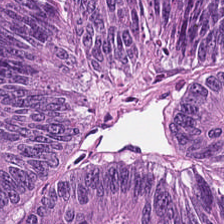H&E patch showing colorectal adenocarcinoma.
